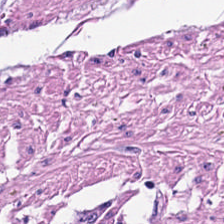H&E stain; FFPE tissue section; 0.5 µm per pixel — Histology → smooth-muscle tissue.
